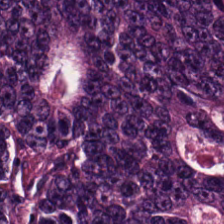The predominant tissue is tumor epithelium.
